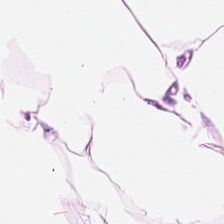WSI patch. H&E-stained tissue section — The tissue type is fat tissue.
